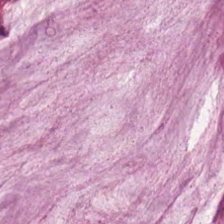H&E-stained section; the field shows mucus.
